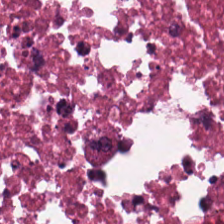H&E.
Impression — cellular debris.
